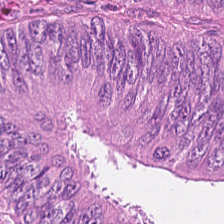H&E stain. Q: What is the predominant tissue type?
A: It is malignant epithelium.
